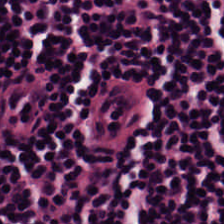Stain: H&E stain.
Acquisition: brightfield microscopy.
Predominant tissue: lymphocytes.
